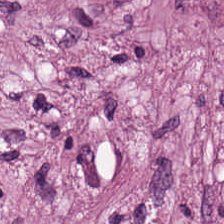H&E stain. Histology — tumor-associated stroma.
